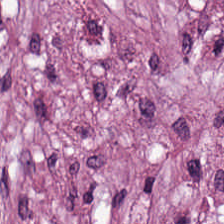H&E. Q: What is shown here?
A: It is desmoplastic stroma.
